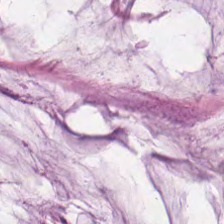Brightfield; hematoxylin-and-eosin stained section.
This patch shows mucus.
